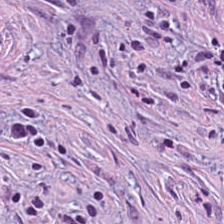Hematoxylin-and-eosin stained section.
Q: What does this patch show?
A: This is cancer-associated stroma.
